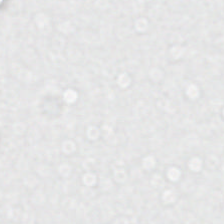Hematoxylin-and-eosin stained section. This patch shows no tissue.
